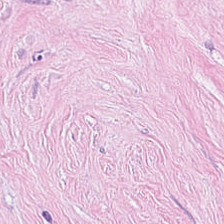H&E — Impression — cancer-associated stroma.
